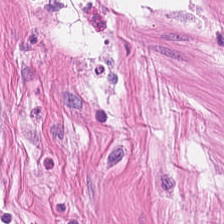20× equivalent magnification · H&E — This patch shows smooth-muscle tissue.
